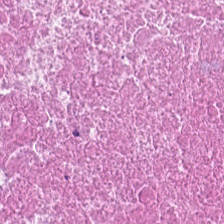H&E stain.
Cellular debris.
